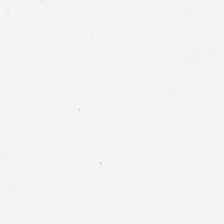Classification — no tissue.
